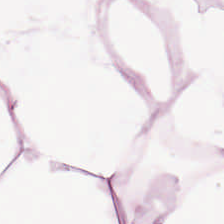Hematoxylin-and-eosin stained section. Predominant tissue: adipocytes.
